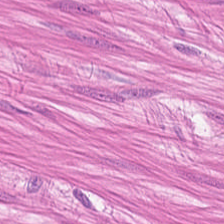Showing smooth-muscle tissue.
